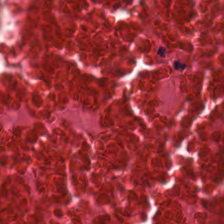Hematoxylin-and-eosin stained section · 0.5 µm per pixel.
Histology → debris.
